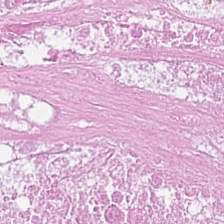Hematoxylin-and-eosin stained section; 0.5 microns per pixel — The predominant tissue is debris.
